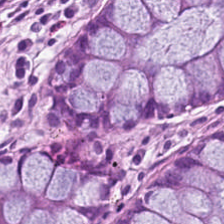Brightfield · H&E stain · FFPE — {"tissue_type": "normal colon mucosa"}
